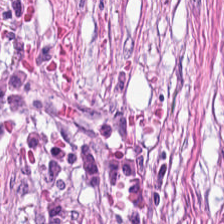H&E stain · 224×224 px patch.
Showing desmoplastic stroma.
